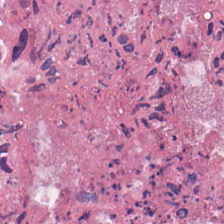H&E-stained tissue section showing debris.
